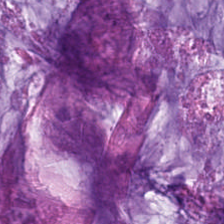H&E. Showing extracellular mucin.
